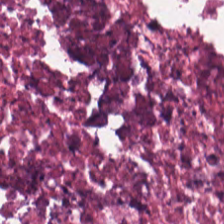Tissue = debris.
